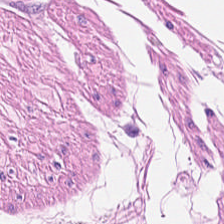Stain: H&E.
Tissue type: smooth-muscle tissue.
